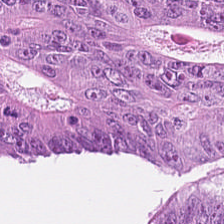Hematoxylin-and-eosin stained section.
Tissue: malignant epithelium.
